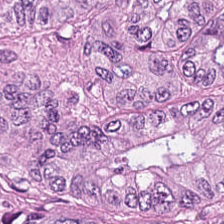Stain: H&E.
Predominant tissue: adenocarcinoma.
